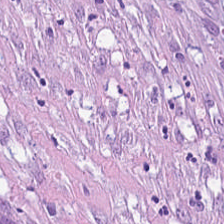Hematoxylin and eosin — {"tissue_type": "desmoplastic stroma"}
